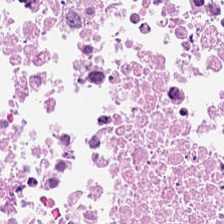Hematoxylin-and-eosin stained section. Showing necrotic debris.
